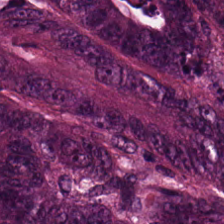Stain: H&E stain.
Tile size: 224×224 px tile.
Predominant tissue: colorectal adenocarcinoma.
